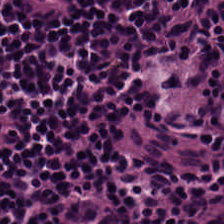Hematoxylin and eosin — Q: What is shown in this field?
A: The field shows lymphoid infiltrate.
